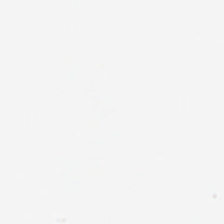H&E-stained tissue section. Q: What is shown here?
A: Empty background.
